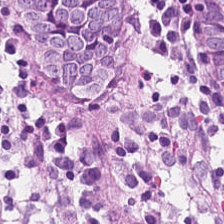Formalin-fixed paraffin-embedded section; hematoxylin and eosin. Q: Classify this patch.
A: It is non-neoplastic colon mucosa.
